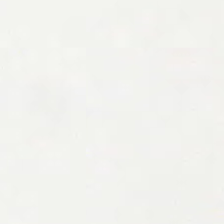Hematoxylin and eosin. The field content is background (no tissue).
